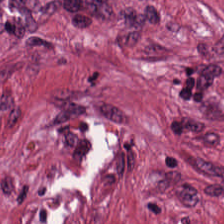H&E-stained tissue section — Cancer-associated stroma.
